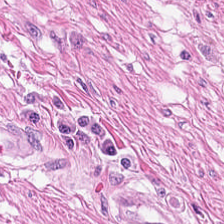Hematoxylin and eosin.
The tissue is smooth muscle.
